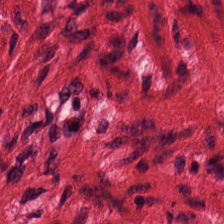Q: What is shown here?
A: This is smooth-muscle tissue.
